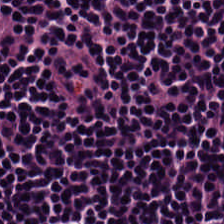0.5 µm per pixel; hematoxylin-and-eosin stained section — Histology → lymphocytic infiltrate.
